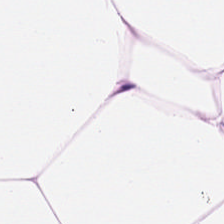Hematoxylin-and-eosin stained section — This patch shows fat tissue.
